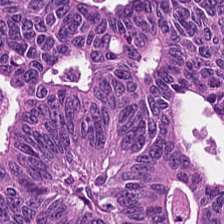Hematoxylin-and-eosin stained section · 224×224 px patch · 0.5 microns per pixel — Q: What does this patch show?
A: The field shows colorectal adenocarcinoma.
